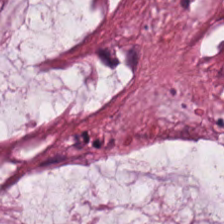0.5 µm per pixel · FFPE · H&E.
Classification = extracellular mucin.
